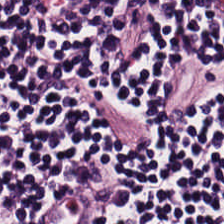Q: What does this patch show?
A: This is lymphocytes.
